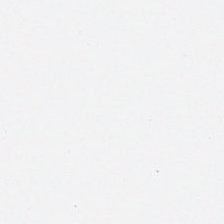H&E. Brightfield microscopy. This field is background (no tissue).
